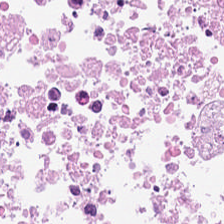Stain: H&E.
Predominant tissue: cellular debris.
